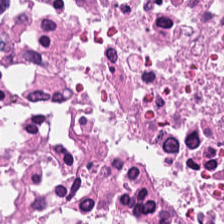Stain: H&E.
Preparation: FFPE.
Tissue type: cellular debris.
